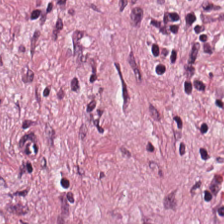H&E-stained tissue section · brightfield — {"tissue_type": "tumor-associated stroma"}
